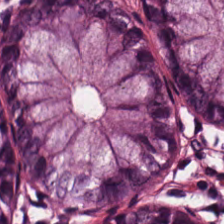Hematoxylin and eosin; 20× equivalent magnification; 224×224 px patch. Q: What is the predominant tissue type?
A: Benign colonic mucosa.
